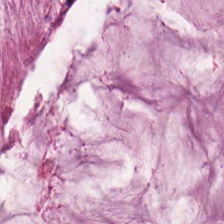20× equivalent magnification. Hematoxylin and eosin. {"tissue_type": "mucin"}
